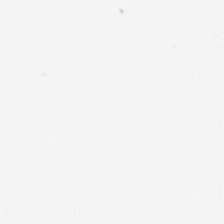H&E-stained tissue section — The content is background (no tissue).
